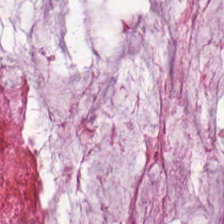H&E. Tissue class = mucus.
